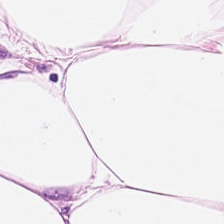H&E-stained tissue section · brightfield · 224×224 px patch. Tissue — fat tissue.
